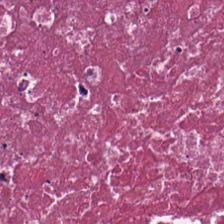H&E patch showing cellular debris.
